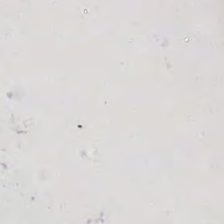H&E. This patch shows background (no tissue).
